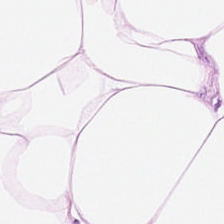Stain: H&E-stained tissue section.
Tissue: adipose tissue.
